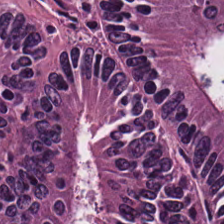Hematoxylin-and-eosin stained section; 224×224 px tile; FFPE tissue section — Q: What is shown here?
A: It is colorectal adenocarcinoma epithelium.
